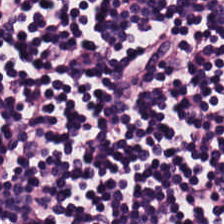Q: What is the predominant tissue type?
A: Lymphocytic infiltrate.
